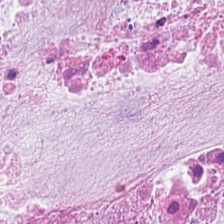Q: What tissue is shown?
A: This is extracellular mucin.
